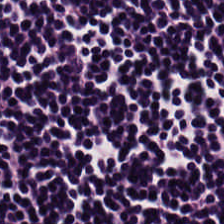WSI patch. H&E-stained tissue section. 224×224 pixel tile. Classification — lymphoid infiltrate.
